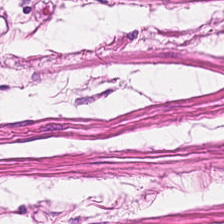WSI patch · 224×224 pixel tile · H&E-stained tissue section — Predominantly smooth muscle.
